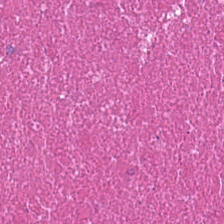Predominantly cellular debris.
